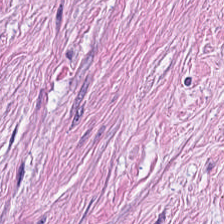H&E.
Q: What tissue type is shown here?
A: It is smooth-muscle tissue.
